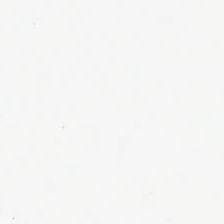Hematoxylin-and-eosin stained section — No tissue present; background only.
